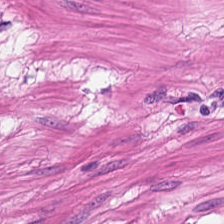H&E-stained tissue section · 0.5 µm/px — The tissue here is smooth muscle.
